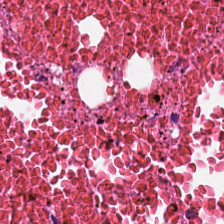Hematoxylin-and-eosin stained section. WSI patch. This field is cellular debris.
